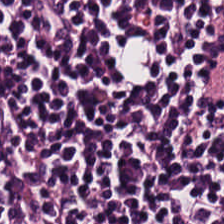H&E-stained tissue section — Histology → lymphoid infiltrate.
